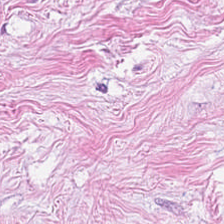0.5 µm per pixel · brightfield · H&E.
{"tissue_type": "cancer-associated stroma"}
